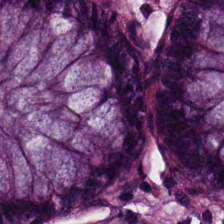H&E. The tissue class is normal colonic mucosa.
